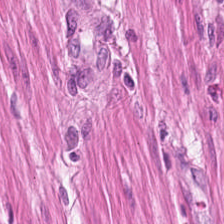This field is smooth-muscle tissue.
